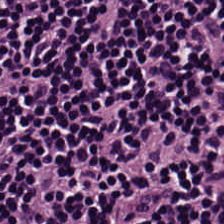Hematoxylin-and-eosin stained section. Predominantly lymphocytic infiltrate.
